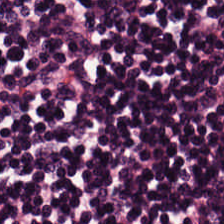Hematoxylin and eosin · 0.5 microns per pixel — This field is lymphocytes.
